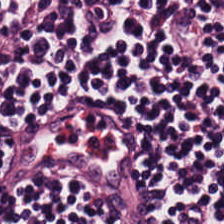Stain: H&E stain.
Classification: lymphocyte aggregate.
